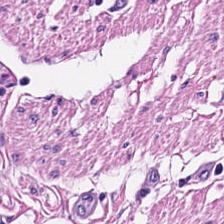H&E.
Q: What does this patch show?
A: Smooth muscle.
